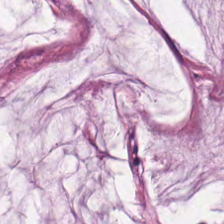Mucus.
